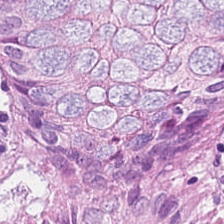Impression → normal colon mucosa.
